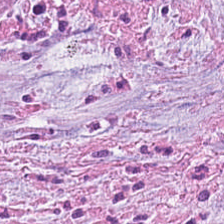Tissue type = desmoplastic stroma.
